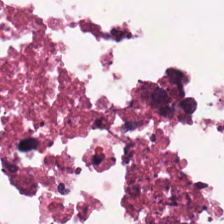Stain: H&E.
Preparation: FFPE.
Tissue: debris.
